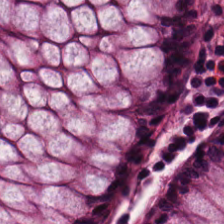Stain: hematoxylin and eosin.
Tissue class: non-neoplastic colon mucosa.
